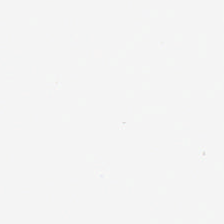FFPE. WSI patch. H&E.
Empty field — background (no tissue).
